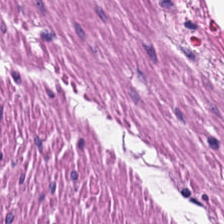Stain: H&E stain.
Tissue type: muscularis.
